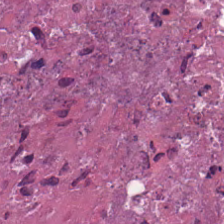H&E; 224×224 pixel tile. {"tissue_type": "debris"}
